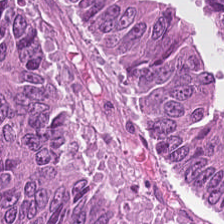Hematoxylin and eosin.
This patch shows tumor epithelium.
